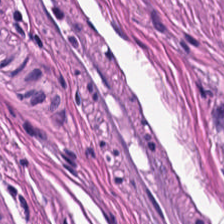Hematoxylin-and-eosin stained section — The tissue here is smooth muscle.
